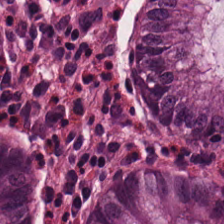Showing normal colonic mucosa.
